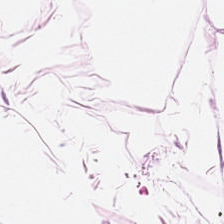Tissue: fat tissue.
